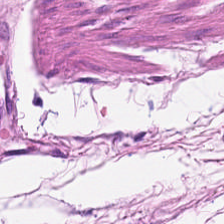Histology — smooth muscle.
